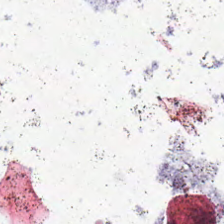Hematoxylin and eosin. This patch shows no tissue.
